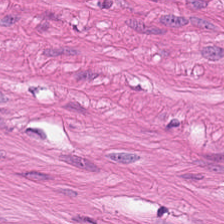This field is smooth-muscle tissue.
